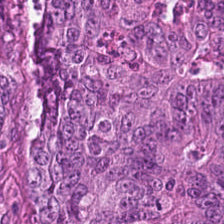Stain: H&E-stained tissue section.
Tissue type: tumor epithelium.
